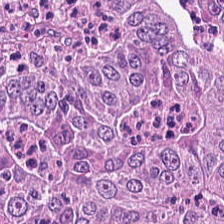Showing colorectal adenocarcinoma epithelium.
